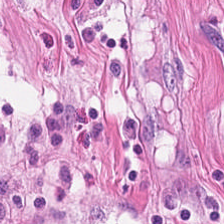Tissue — smooth-muscle tissue.
